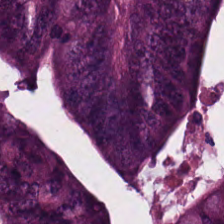224×224 px patch; hematoxylin-and-eosin stained section; formalin-fixed paraffin-embedded section.
Impression → colorectal adenocarcinoma.
